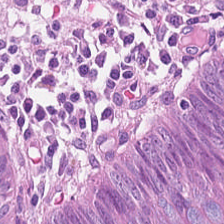Stain: H&E-stained tissue section.
Tissue class: adenocarcinoma.
